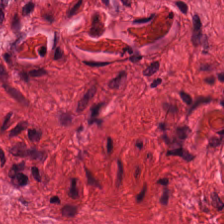Whole-slide-image patch; H&E; formalin-fixed paraffin-embedded section.
Impression — muscularis.
